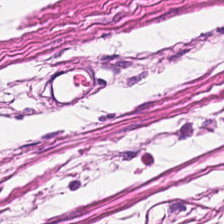Histology — smooth-muscle tissue.
